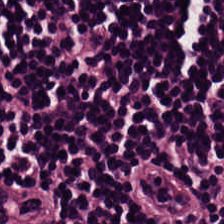H&E-stained tissue section. 224×224 px patch — Showing lymphoid infiltrate.
